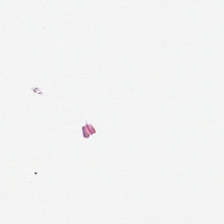Classification: background (no tissue).
